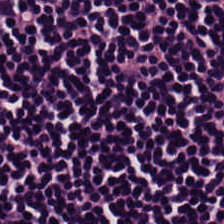H&E-stained tissue section — Showing lymphoid infiltrate.
